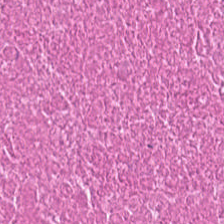Histology → cellular debris.
